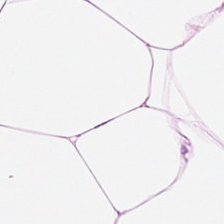Stain: hematoxylin-and-eosin stained section.
Tissue: adipose.
